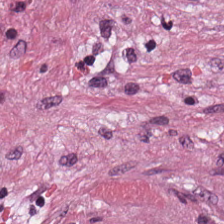H&E stain. The tissue here is tumor stroma.
